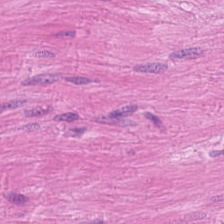Hematoxylin and eosin. 0.5 µm per pixel. 224×224 px tile.
Histology → muscularis.
